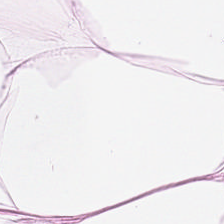0.5 µm/px. Whole-slide-image patch. H&E stain — Impression — fat tissue.
